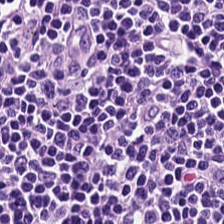H&E-stained tissue section; FFPE tissue section — Lymphoid infiltrate.
